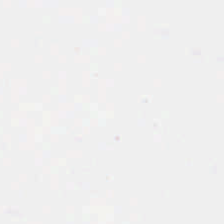Empty field — background.
